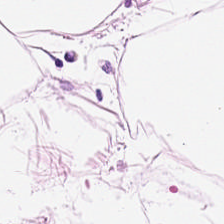0.5 µm/px; H&E. Tissue class: adipocytes.
